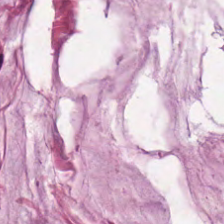0.5 microns per pixel · H&E stain · formalin-fixed paraffin-embedded section.
Classification = mucus.
